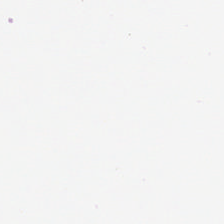H&E — Q: What does this patch show?
A: The field shows background (no tissue).
